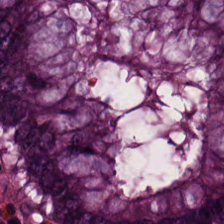H&E — {"tissue_type": "normal colonic mucosa"}
